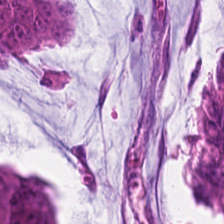Hematoxylin-and-eosin stained section — Finding — tumor epithelium.
